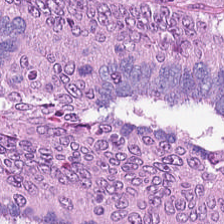224×224 pixel tile. Hematoxylin and eosin — This field is malignant epithelium.
